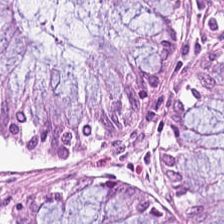Stain: hematoxylin and eosin.
Tissue type: benign colonic mucosa.
